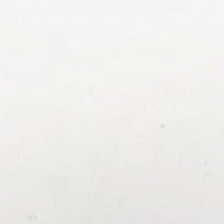H&E stain. Formalin-fixed paraffin-embedded section.
Impression — empty background.
